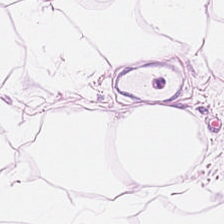Predominantly adipocytes.
